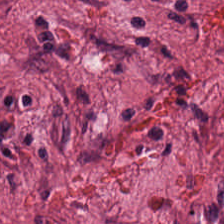H&E-stained tissue section · 224×224 px tile · brightfield.
The tissue class is tumor-associated stroma.
